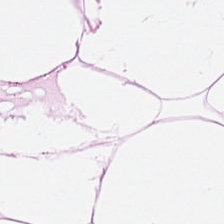H&E stain — Q: What is the predominant tissue type?
A: It is adipose tissue.
